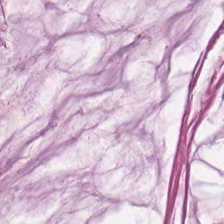Stain: hematoxylin-and-eosin stained section.
Preparation: FFPE.
Classification: mucin.
